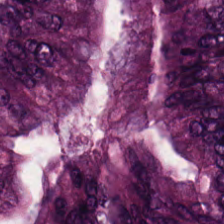H&E-stained tissue section.
The predominant tissue is colorectal adenocarcinoma epithelium.
